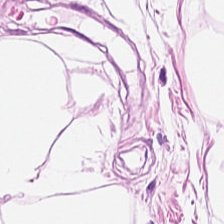20× equivalent magnification; hematoxylin and eosin. {"tissue_type": "adipocytes"}
